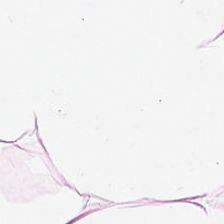Hematoxylin and eosin.
Adipocytes.
